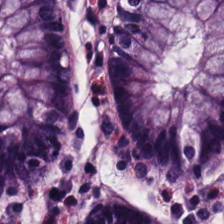H&E stain — This field is benign colonic mucosa.
